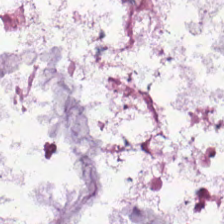FFPE · 224×224 px patch · H&E-stained tissue section — The classification is mucin.
